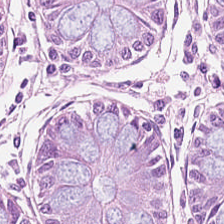Hematoxylin-and-eosin stained section.
Predominantly normal colonic mucosa.
